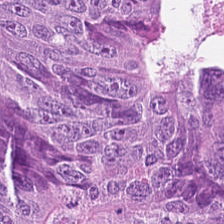WSI patch; FFPE tissue section; hematoxylin-and-eosin stained section.
This patch shows tumor epithelium.
